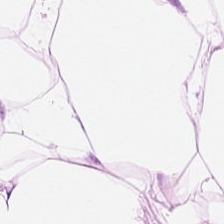Q: Identify the tissue.
A: This is adipocytes.
